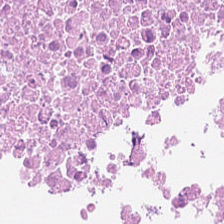H&E stain · whole-slide-image patch · 224×224 px patch.
The tissue class is necrotic debris.
